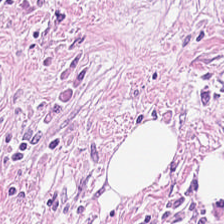224×224 pixel tile · 20× equivalent magnification · H&E stain.
{"tissue_type": "tumor stroma"}
